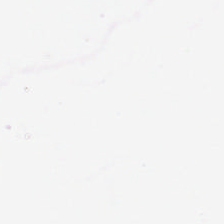Brightfield microscopy. Formalin-fixed paraffin-embedded section. H&E stain — Q: What does this patch show?
A: Background (no tissue).
